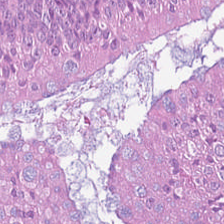224×224 px tile. H&E-stained tissue section — This field is tumor epithelium.
